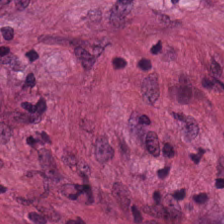H&E stain. Tissue — desmoplastic stroma.
